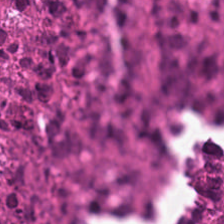FFPE tissue section; hematoxylin and eosin; whole-slide-image patch. This patch shows cellular debris.
